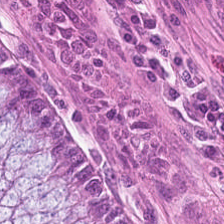Showing non-neoplastic colon mucosa.
